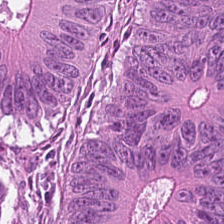224×224 pixel tile; FFPE tissue section; H&E stain — The tissue is colorectal adenocarcinoma.
